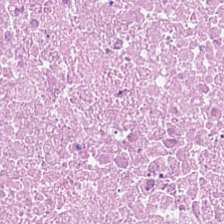Stain: hematoxylin-and-eosin stained section.
Preparation: FFPE.
Tissue: necrotic debris.
